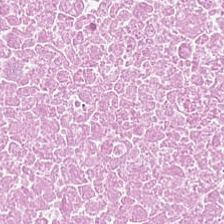Brightfield microscopy · H&E stain. Q: What is shown in this field?
A: The field shows debris.
